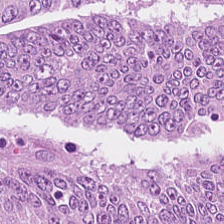Stain: H&E stain.
Resolution: 0.5 µm per pixel.
Acquisition: whole-slide-image patch.
Predominant tissue: tumor epithelium.
